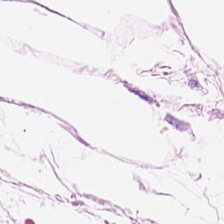H&E-stained tissue section. Tissue type: adipocytes.
